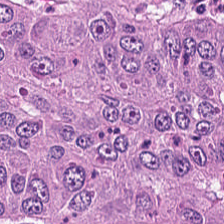The predominant tissue is colorectal adenocarcinoma epithelium.
